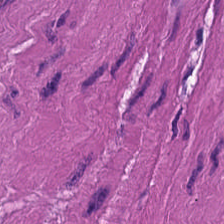This patch shows muscularis.
